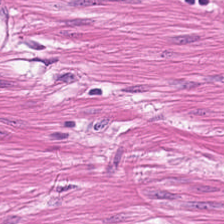20× equivalent magnification; hematoxylin-and-eosin stained section.
The predominant tissue is smooth muscle.
